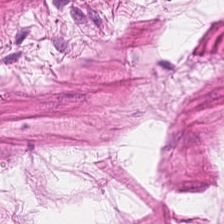Hematoxylin and eosin — Muscularis.
